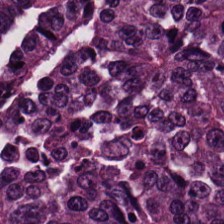{"tissue_type": "adenocarcinoma"}
